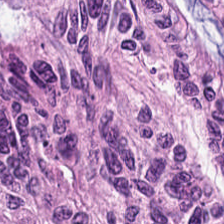FFPE; H&E — Histology — colorectal adenocarcinoma.
